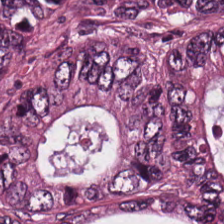Q: What does this patch show?
A: Colorectal adenocarcinoma epithelium.
